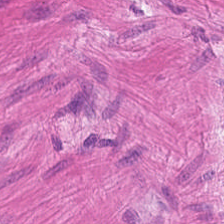Hematoxylin and eosin — Predominant tissue = smooth muscle.
